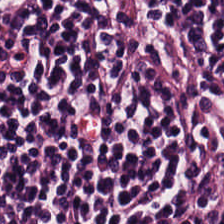FFPE; H&E-stained tissue section.
Predominantly lymphocytic infiltrate.
